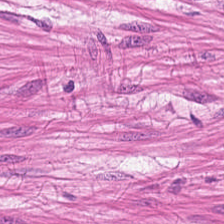Hematoxylin and eosin — {"tissue_type": "smooth-muscle tissue"}
